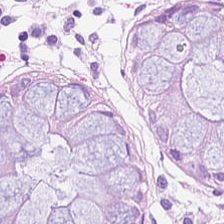Tissue type — benign colonic mucosa.
